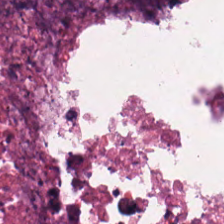Classification: necrotic debris.
